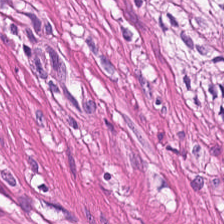Predominantly smooth muscle.
